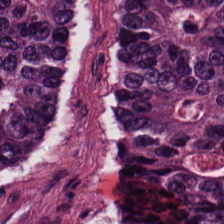Hematoxylin and eosin. The tissue class is adenocarcinoma.
